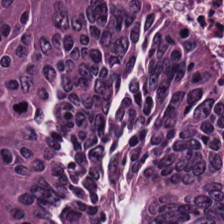0.5 microns per pixel; hematoxylin and eosin; 224×224 pixel tile.
Showing colorectal adenocarcinoma.
